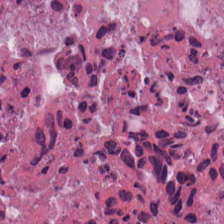Hematoxylin and eosin. The tissue here is debris.
